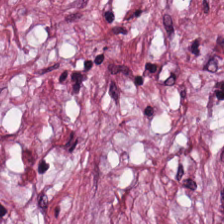Brightfield microscopy. Hematoxylin-and-eosin stained section. 0.5 microns per pixel. Q: What is shown in this field?
A: It is desmoplastic stroma.
